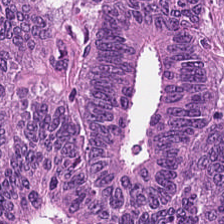H&E stain. 224×224 px patch. WSI patch. Q: What is shown in this field?
A: It is colorectal adenocarcinoma.
